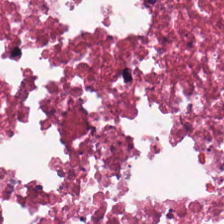The tissue here is necrotic debris.
